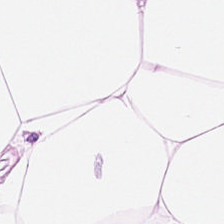H&E-stained tissue section — Impression — adipose.
